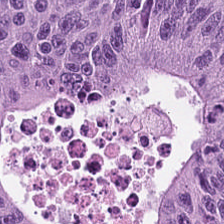224×224 px patch. H&E-stained tissue section — The classification is malignant epithelium.
